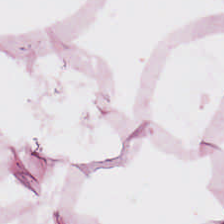Formalin-fixed paraffin-embedded section; whole-slide-image patch; H&E stain — This field is adipose tissue.
